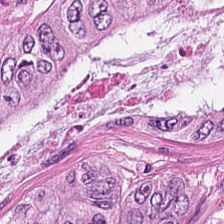Hematoxylin-and-eosin stained section. Histology — adenocarcinoma.
